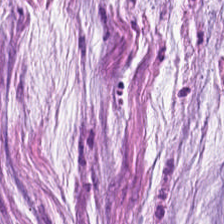Tissue: mucin.
